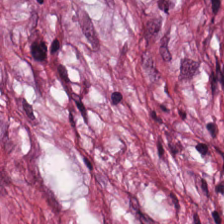Hematoxylin-and-eosin stained section.
Q: Classify this patch.
A: Tumor stroma.
